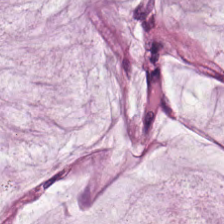Hematoxylin and eosin · brightfield microscopy. Predominantly mucus.
